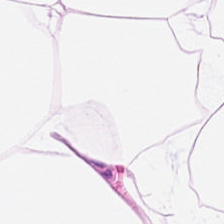Hematoxylin and eosin.
Tissue type: adipocytes.
